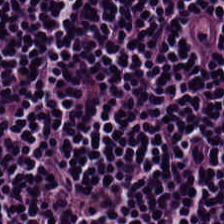Stain: H&E stain.
Tile size: 224×224 px tile.
Tissue type: lymphoid infiltrate.
